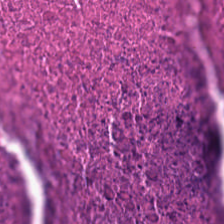H&E-stained tissue section.
This field is cellular debris.
